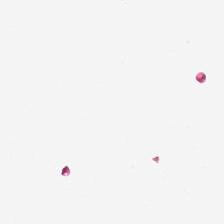H&E-stained tissue section — This field is background (no tissue).
